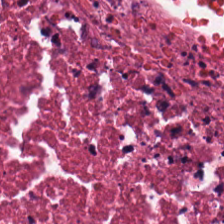{"tissue_type": "cellular debris"}
